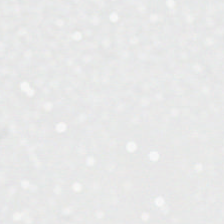H&E stain. Brightfield microscopy. Empty background.
